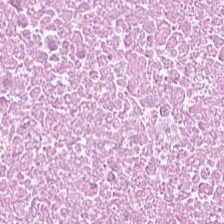H&E-stained tissue section — Predominantly cellular debris.
